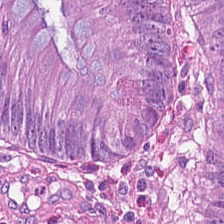Impression → tumor epithelium.
